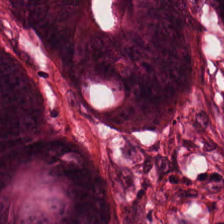Q: What does this patch show?
A: This is malignant epithelium.
